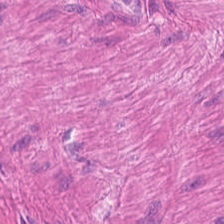WSI patch; H&E-stained tissue section — This field is smooth-muscle tissue.
